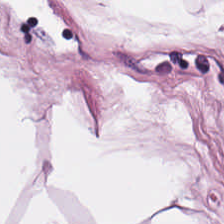H&E-stained tissue section. Finding → adipose.
